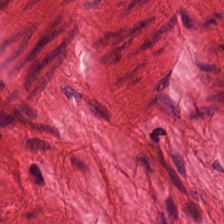H&E stain · 0.5 microns per pixel · brightfield microscopy. Q: What is shown in this field?
A: Smooth-muscle tissue.
